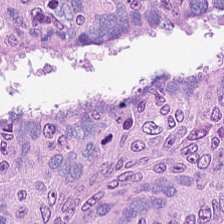Stain: hematoxylin and eosin.
Predominant tissue: malignant epithelium.
